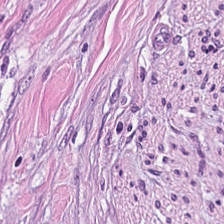Stain: hematoxylin and eosin.
Resolution: 0.5 µm/px.
Classification: tumor-associated stroma.
